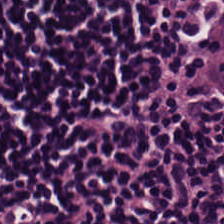H&E stain. 20× equivalent magnification.
Classification: lymphocyte aggregate.
